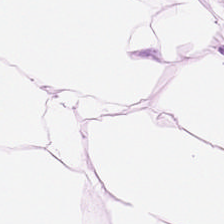Hematoxylin-and-eosin stained section.
Impression — fat tissue.
